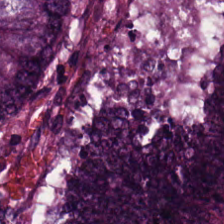Q: What tissue type is shown here?
A: This is tumor epithelium.
